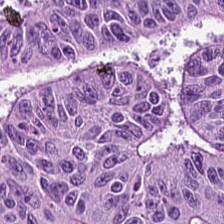H&E-stained tissue section — Colorectal adenocarcinoma.
